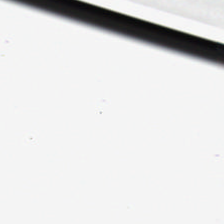0.5 microns per pixel · H&E stain.
Impression → empty background.
